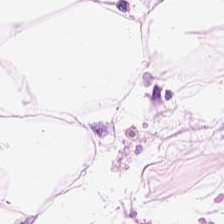Q: What tissue type is shown here?
A: The field shows adipocytes.
